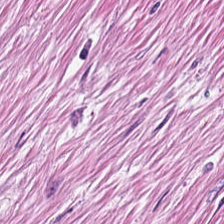Formalin-fixed paraffin-embedded section; H&E-stained tissue section.
The predominant tissue is cancer-associated stroma.
